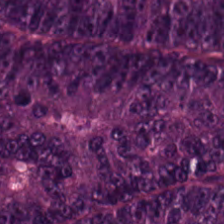H&E stain. Tissue class = malignant epithelium.
